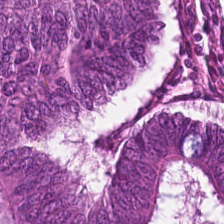Classification = tumor epithelium.
